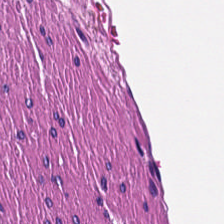H&E.
Muscularis.
